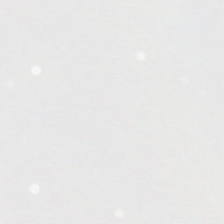Hematoxylin and eosin.
Impression — background (no tissue).
